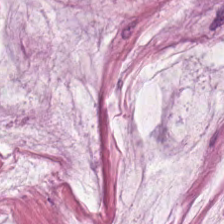The predominant tissue is mucin.
